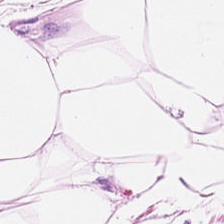Whole-slide-image patch · H&E — Histology → adipose.
